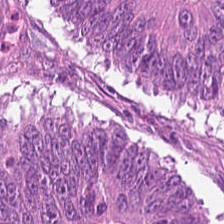Histology — colorectal adenocarcinoma.
